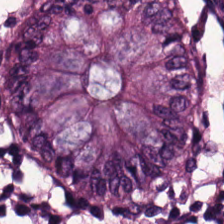WSI patch; FFPE tissue section; hematoxylin-and-eosin stained section — This field is non-neoplastic colon mucosa.
